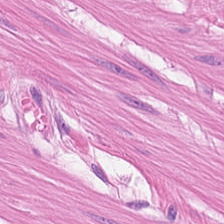Stain: H&E.
Tissue class: muscularis.
